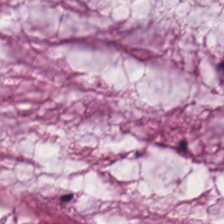Hematoxylin and eosin — Showing mucin.
